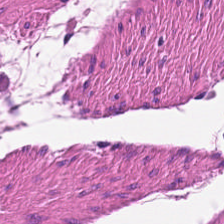{"tissue_type": "smooth-muscle tissue"}
